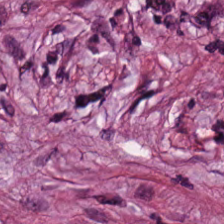H&E-stained tissue section.
Tissue class — cancer-associated stroma.
